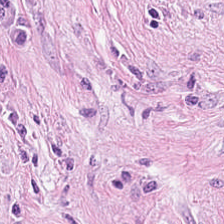H&E stain.
Q: What tissue type is shown here?
A: It is cancer-associated stroma.
